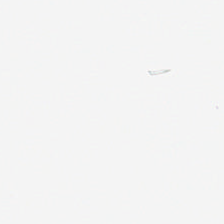Stain: hematoxylin and eosin.
Tile size: 224×224 px patch.
Acquisition: brightfield microscopy.
Content: background (no tissue).
